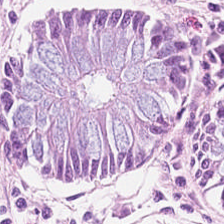Formalin-fixed paraffin-embedded section. H&E stain. 224×224 px tile.
Tissue class — benign colonic mucosa.
